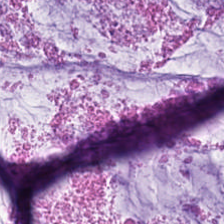224×224 pixel tile. H&E.
The tissue here is mucin.
